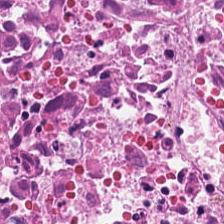Stain: hematoxylin and eosin.
Tissue class: necrotic debris.
